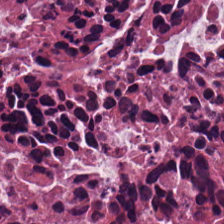Hematoxylin-and-eosin stained section. Classification: cellular debris.
